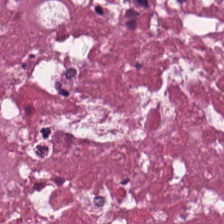Stain: hematoxylin and eosin.
Preparation: FFPE.
Resolution: 0.5 µm/px.
Tissue class: necrotic debris.
